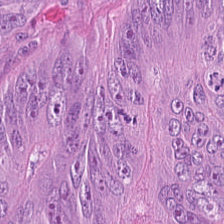224×224 px tile. Hematoxylin-and-eosin stained section. Q: Classify this patch.
A: It is malignant epithelium.
